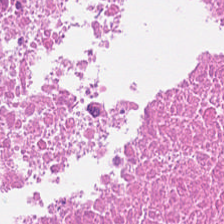H&E-stained tissue section — {"tissue_type": "necrotic debris"}
